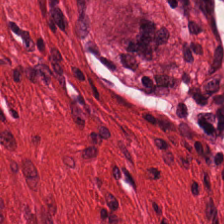20× equivalent magnification · 224×224 pixel tile · hematoxylin and eosin.
Predominant tissue — smooth muscle.
